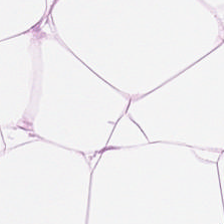Q: Identify the tissue.
A: It is adipose.
